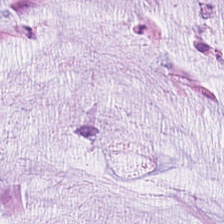H&E · 224×224 px patch. Q: What is shown here?
A: It is mucin.
